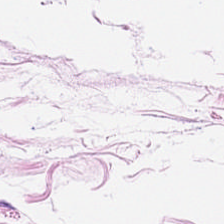H&E. Brightfield.
Predominantly fat tissue.
